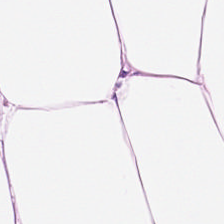H&E.
Adipose.
